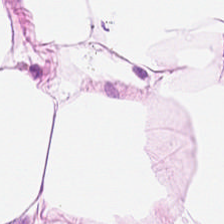Q: What tissue type is shown here?
A: This is fat tissue.
